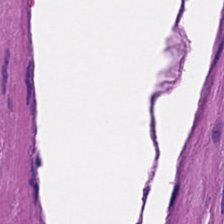H&E · FFPE — Q: What type of tissue is this?
A: The field shows smooth muscle.
